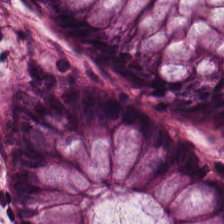Whole-slide-image patch; hematoxylin-and-eosin stained section. Q: What does this patch show?
A: The field shows non-neoplastic colon mucosa.
